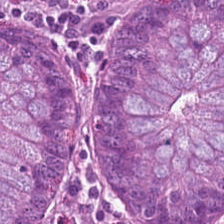Stain: hematoxylin-and-eosin stained section.
Classification: benign colonic mucosa.
